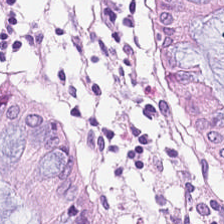Hematoxylin-and-eosin stained section.
{"tissue_type": "benign colonic mucosa"}
